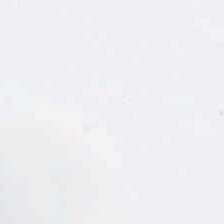WSI patch. Hematoxylin and eosin. 224×224 pixel tile. {"content": "no tissue"}
